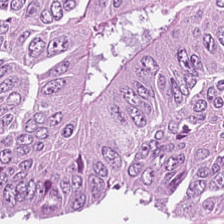Stain: H&E-stained tissue section.
Tile size: 224×224 px tile.
Acquisition: whole-slide-image patch.
Tissue type: tumor epithelium.
